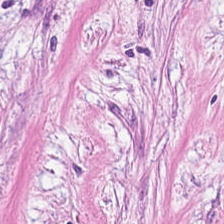Tissue: cancer-associated stroma.
